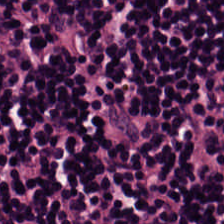Hematoxylin-and-eosin stained section. 224×224 px tile. FFPE tissue section.
The predominant tissue is lymphoid infiltrate.
